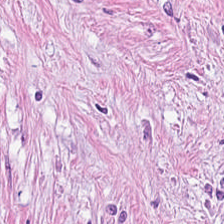WSI patch; H&E stain. Q: Identify the tissue.
A: It is cancer-associated stroma.
